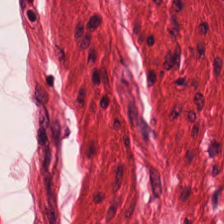Hematoxylin and eosin. Whole-slide-image patch.
Muscularis.
